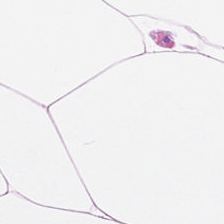Hematoxylin-and-eosin section: adipocytes.
